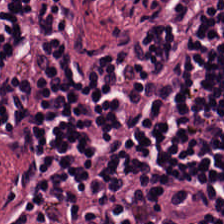Histology — lymphoid infiltrate.
